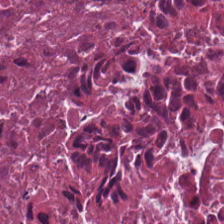H&E-stained section; the field shows debris.
